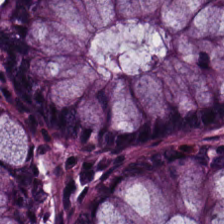Hematoxylin and eosin · 224×224 px patch.
Finding — normal colon mucosa.
